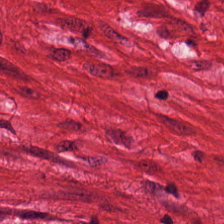Q: Classify this patch.
A: Muscularis.
